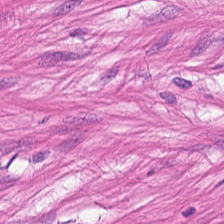FFPE tissue section. Hematoxylin and eosin.
Q: What is the predominant tissue type?
A: The field shows smooth muscle.
